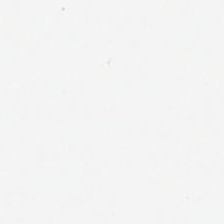H&E stain; 0.5 µm/px. Content: background.
